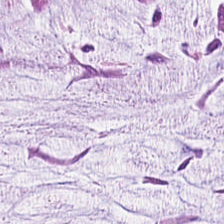Hematoxylin-and-eosin stained section — Q: What tissue type is shown here?
A: Mucus.
